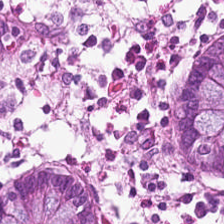H&E stain; FFPE tissue section. Q: What is shown here?
A: Benign colonic mucosa.
